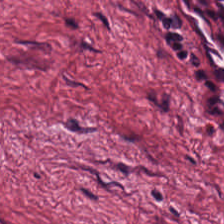Hematoxylin-and-eosin stained section · brightfield microscopy — Desmoplastic stroma.
